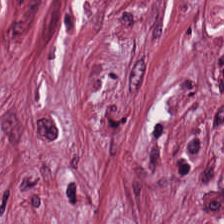H&E stain — The predominant tissue is cancer-associated stroma.
